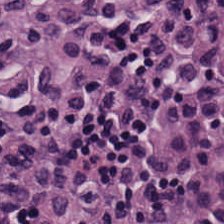H&E. The predominant tissue is lymphocytes.
